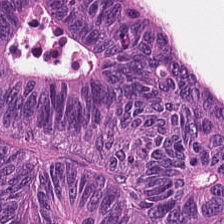H&E-stained tissue section — Q: Identify the tissue.
A: Colorectal adenocarcinoma.
